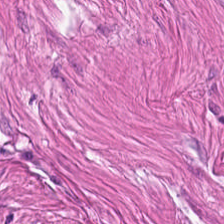H&E stain · 224×224 pixel tile — This field is smooth-muscle tissue.
